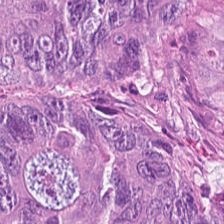Classification — colorectal adenocarcinoma.
